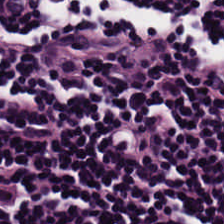Stain: hematoxylin and eosin.
Predominant tissue: lymphocyte aggregate.
